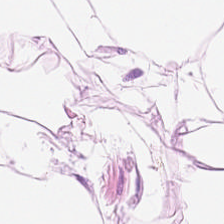Impression — fat tissue.
